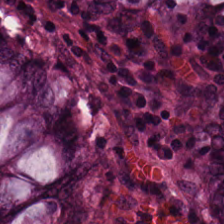H&E-stained tissue section — The tissue class is benign colonic mucosa.
